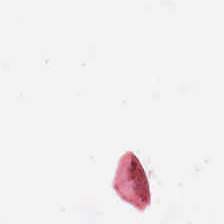No tissue present; background only.
